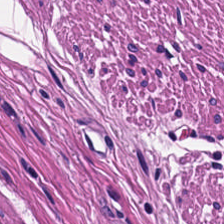H&E. 0.5 microns per pixel — Q: Identify the tissue.
A: The field shows muscularis.
